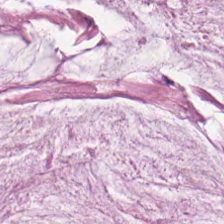Tissue: mucin.
